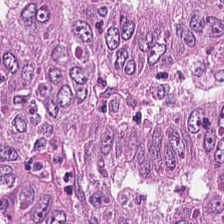Hematoxylin and eosin. Showing tumor epithelium.
